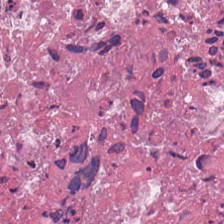Formalin-fixed paraffin-embedded section; H&E. This field is cellular debris.
